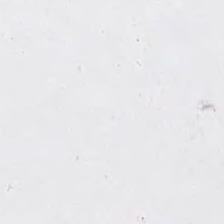Q: Classify this patch.
A: This is empty background.
